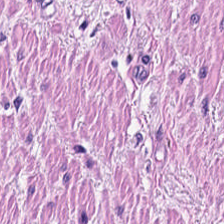Stain: hematoxylin-and-eosin stained section.
Resolution: 0.5 microns per pixel.
Tissue class: smooth-muscle tissue.
